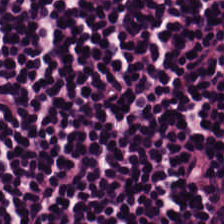Predominant tissue = lymphocytic infiltrate.
